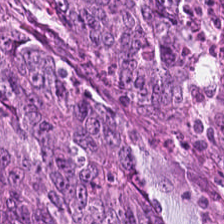Stain: H&E stain.
Resolution: 0.5 µm per pixel.
Tile size: 224×224 px tile.
Predominant tissue: colorectal adenocarcinoma.
